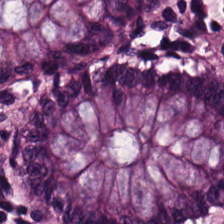The tissue is benign colonic mucosa.
